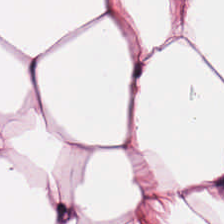This patch shows adipose.
